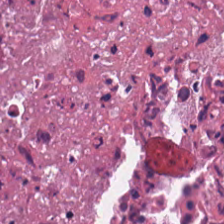Hematoxylin-and-eosin stained section.
This patch shows necrotic debris.
